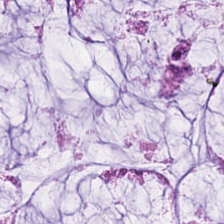Hematoxylin-and-eosin section: mucus.
